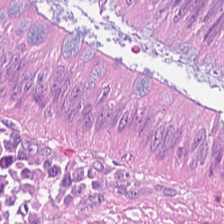Q: What type of tissue is this?
A: This is adenocarcinoma.
